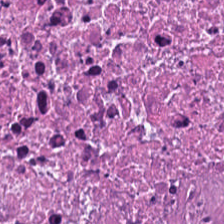0.5 µm/px; H&E. Cellular debris.
